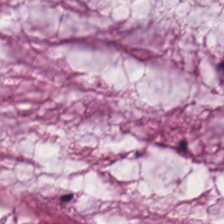224×224 px tile; H&E — Q: What is shown in this field?
A: It is mucus.
